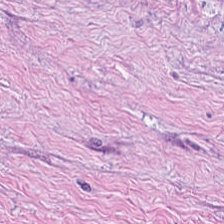H&E stain; brightfield — Tissue class — tumor-associated stroma.
